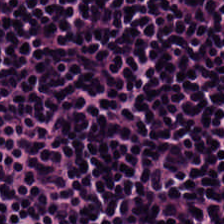Hematoxylin-and-eosin stained section.
Q: Identify the tissue.
A: Lymphocyte aggregate.
